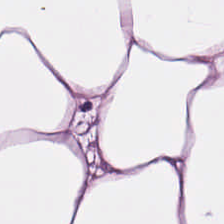H&E. 0.5 microns per pixel. {"tissue_type": "adipocytes"}
